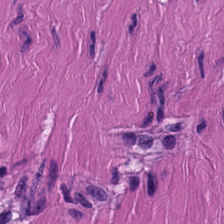H&E.
Showing smooth-muscle tissue.
